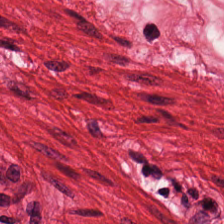H&E-stained tissue section.
The tissue here is muscularis.
